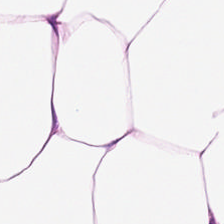Showing adipocytes.
